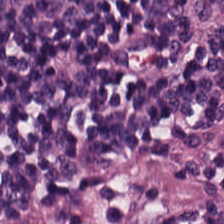H&E — The predominant tissue is lymphoid infiltrate.
